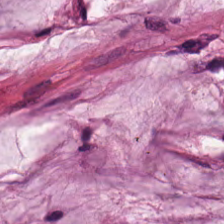H&E — Tissue = extracellular mucin.
